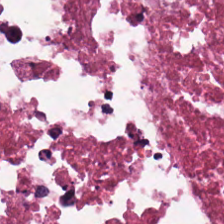H&E-stained tissue section · whole-slide-image patch · 0.5 µm/px.
Q: What type of tissue is this?
A: This is cellular debris.
